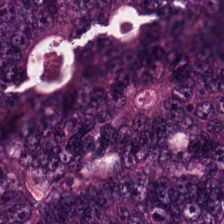Hematoxylin and eosin. 224×224 px tile.
Tissue class = adenocarcinoma.
